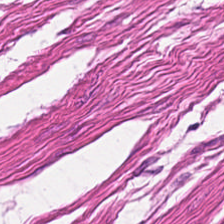H&E-stained tissue section; 0.5 microns per pixel. Histology — smooth muscle.
